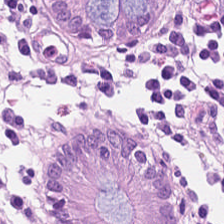H&E stain. Showing normal colonic mucosa.
